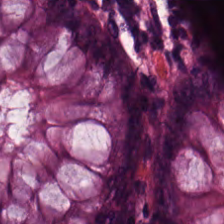Tissue class: normal colonic mucosa.
